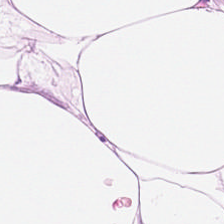Stain: hematoxylin-and-eosin stained section.
Tissue: adipose.
